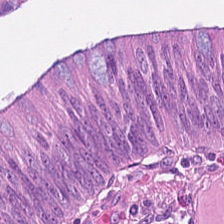H&E. Colorectal adenocarcinoma epithelium.
